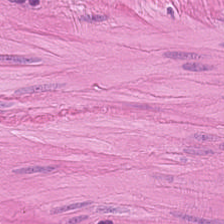H&E; WSI patch. Tissue type: smooth muscle.
